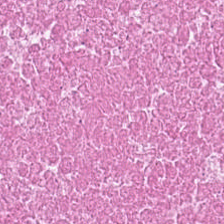Hematoxylin-and-eosin stained section. Tissue type = cellular debris.
